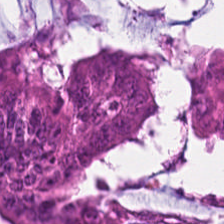Q: What is the predominant tissue type?
A: Colorectal adenocarcinoma epithelium.
